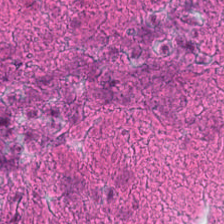H&E-stained tissue section.
Q: What is shown here?
A: The field shows debris.
